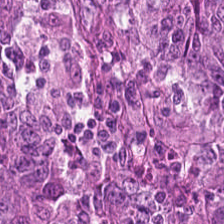Stain: hematoxylin-and-eosin stained section.
Preparation: FFPE tissue section.
Tile size: 224×224 px tile.
Tissue type: malignant epithelium.
